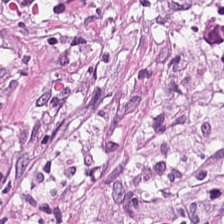224×224 px patch. Formalin-fixed paraffin-embedded section. Hematoxylin and eosin.
Q: What is shown here?
A: Desmoplastic stroma.
